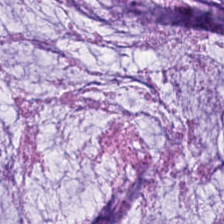Mucin.
